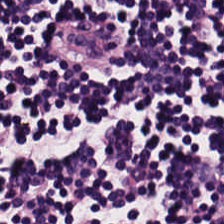0.5 µm per pixel. FFPE tissue section. Hematoxylin-and-eosin stained section. Lymphocytes.
